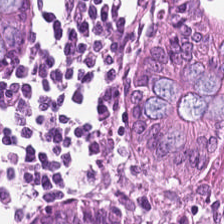Hematoxylin and eosin.
Showing non-neoplastic colon mucosa.
